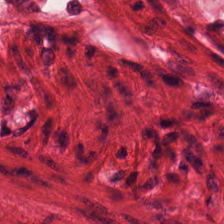Stain: H&E stain.
Tissue class: muscularis.
